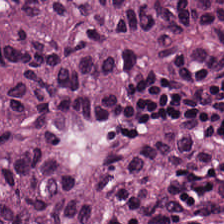Hematoxylin-and-eosin stained section; FFPE tissue section.
This field is malignant epithelium.
